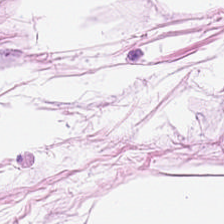The predominant tissue is adipocytes.
